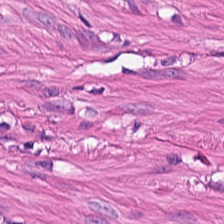Formalin-fixed paraffin-embedded section; hematoxylin and eosin; 224×224 px patch.
This field is smooth-muscle tissue.
